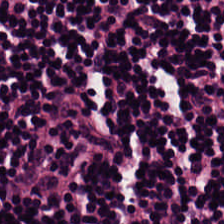H&E-stained tissue section — This field is lymphocytes.
